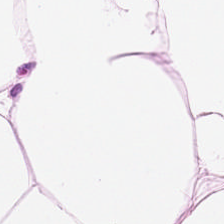H&E. 224×224 px patch. 0.5 µm per pixel. Tissue class = adipose tissue.
